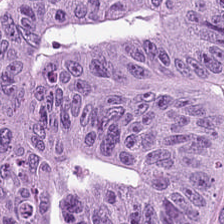Hematoxylin and eosin — The predominant tissue is malignant epithelium.
